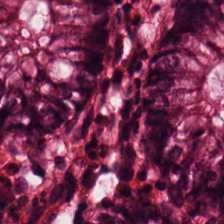H&E — The tissue here is benign colonic mucosa.
